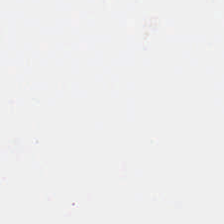Q: Classify this patch.
A: It is no tissue.
